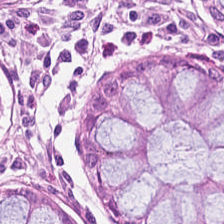Classification: normal colon mucosa.
